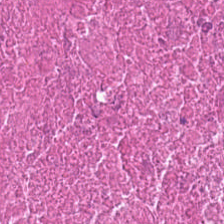Hematoxylin and eosin. 0.5 microns per pixel. This field is debris.
